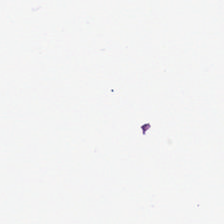FFPE tissue section · hematoxylin and eosin. This patch shows background (no tissue).
